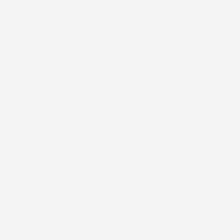Stain: hematoxylin-and-eosin stained section.
Content: background.
